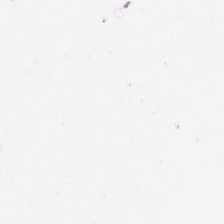0.5 µm/px. WSI patch. H&E-stained tissue section.
Q: What is shown here?
A: Background (no tissue).
